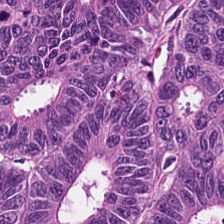Formalin-fixed paraffin-embedded section · H&E stain — Showing colorectal adenocarcinoma.
